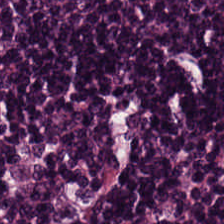H&E patch showing lymphocytes.
